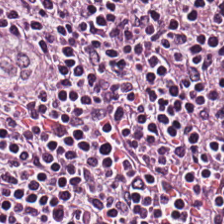Whole-slide-image patch. FFPE tissue section. H&E-stained tissue section.
This patch shows lymphocytes.
